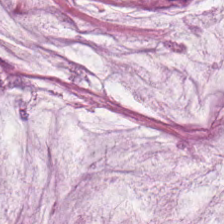H&E; brightfield microscopy.
Tissue: extracellular mucin.
